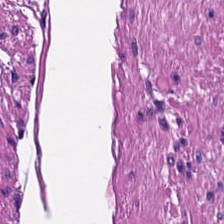H&E — Q: What tissue type is shown here?
A: Smooth-muscle tissue.
